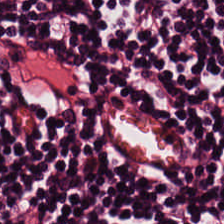The predominant tissue is lymphocytic infiltrate.
